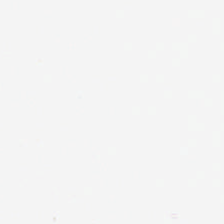H&E.
Content: background (no tissue).
